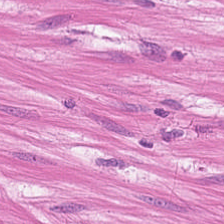Tissue class = muscularis.
